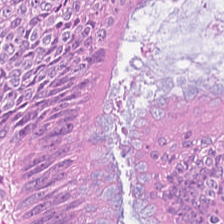Hematoxylin-and-eosin stained section. 224×224 px tile — Finding → colorectal adenocarcinoma epithelium.
